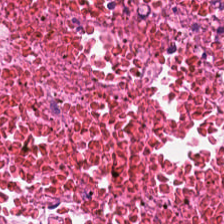H&E.
Finding — cellular debris.
